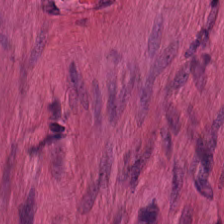Finding → muscularis.
